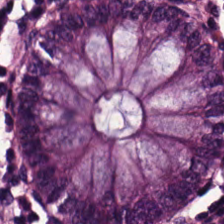Hematoxylin and eosin. Impression → normal colonic mucosa.
